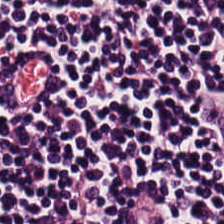H&E-stained tissue section — Q: What is shown here?
A: This is lymphocyte aggregate.
